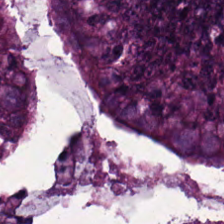Showing colorectal adenocarcinoma.
